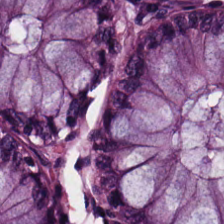Hematoxylin-and-eosin stained section · formalin-fixed paraffin-embedded section — Showing normal colon mucosa.
